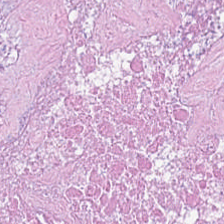The predominant tissue is cellular debris.
